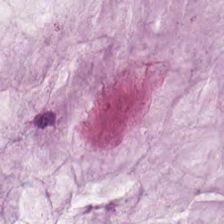Brightfield microscopy · H&E stain.
Tissue: mucin.
